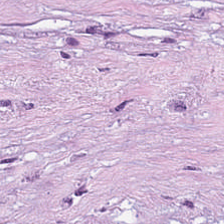Brightfield. H&E-stained tissue section. The tissue here is tumor-associated stroma.
